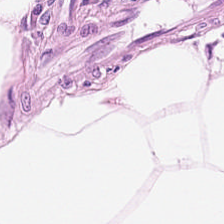Stain: H&E-stained tissue section.
Resolution: 0.5 µm per pixel.
Acquisition: whole-slide-image patch.
Tissue: adipose tissue.
